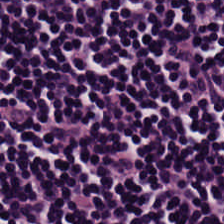Hematoxylin-and-eosin stained section.
Tissue: lymphocytes.
